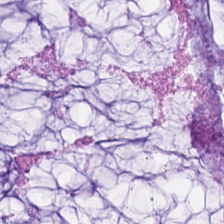Hematoxylin-and-eosin stained section — Q: What is shown here?
A: It is extracellular mucin.
